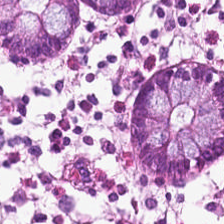Hematoxylin-and-eosin section: normal colon mucosa.
